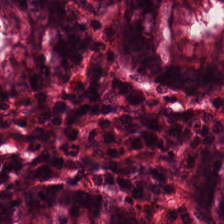H&E; 0.5 µm/px; brightfield.
Normal colon mucosa.
